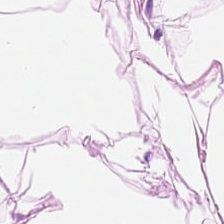Hematoxylin-and-eosin stained section.
Q: What is shown here?
A: This is adipocytes.
